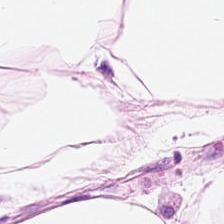H&E stain — Predominantly adipocytes.
